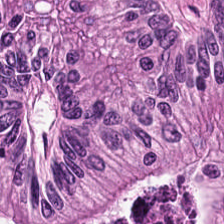Predominant tissue: adenocarcinoma.
